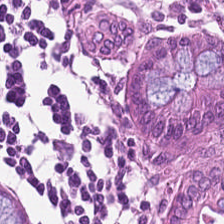Q: What tissue type is shown here?
A: It is normal colon mucosa.
